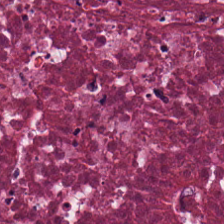Hematoxylin and eosin.
The tissue here is necrotic debris.
